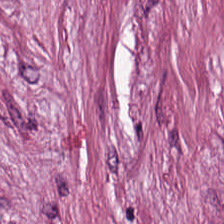H&E — This patch shows cancer-associated stroma.
